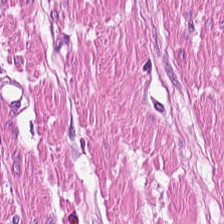224×224 px patch. Brightfield. Hematoxylin and eosin — The tissue here is muscularis.
